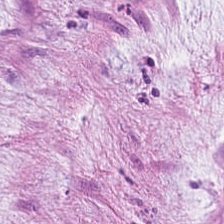Q: What is shown in this field?
A: The field shows extracellular mucin.
